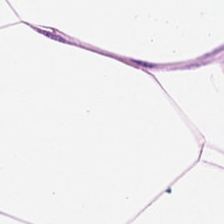H&E — Finding → adipose tissue.
